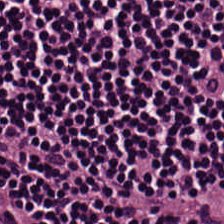224×224 px tile. 0.5 µm per pixel. H&E stain.
Finding → lymphocyte aggregate.
